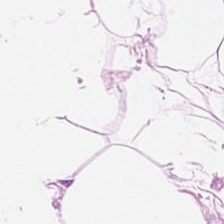H&E-stained section; the field shows adipocytes.
